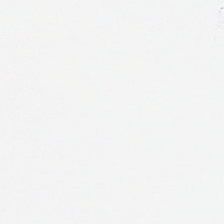Formalin-fixed paraffin-embedded section. H&E — Q: What does this patch show?
A: Empty background.
